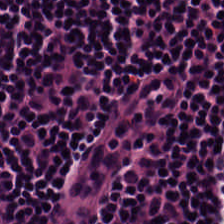Q: What type of tissue is this?
A: The field shows lymphocytes.
